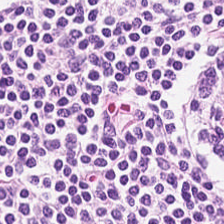H&E patch showing lymphocytes.
